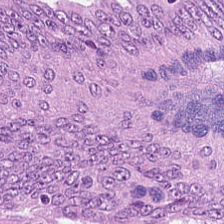Histology — adenocarcinoma.
